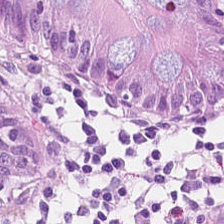H&E — normal colonic mucosa.
